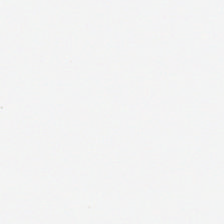Hematoxylin and eosin; 20× equivalent magnification.
Classification = background.
